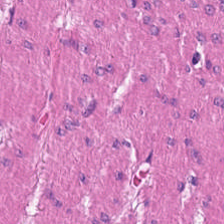H&E — This patch shows muscularis.
